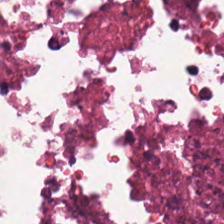FFPE tissue section. H&E stain — Q: What type of tissue is this?
A: Debris.
